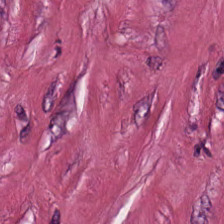H&E-stained tissue section — The tissue is tumor stroma.
